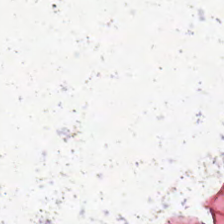Q: What is shown here?
A: The field shows background.
